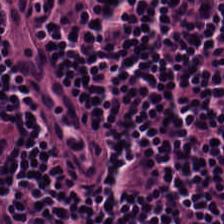H&E — lymphoid infiltrate.
